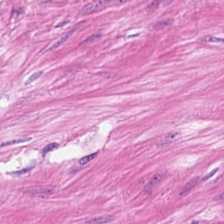Hematoxylin-and-eosin stained section.
Tissue: smooth muscle.
